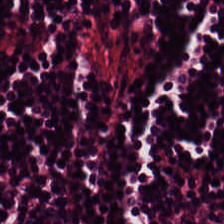Hematoxylin-and-eosin stained section.
{"tissue_type": "lymphoid infiltrate"}
